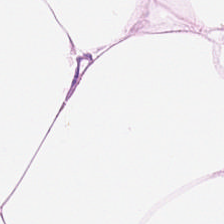H&E stain. The tissue here is adipocytes.
